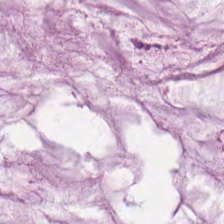224×224 px tile; H&E stain; formalin-fixed paraffin-embedded section.
The predominant tissue is mucin.
